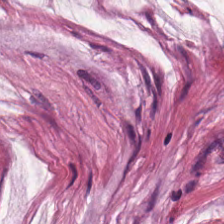Hematoxylin and eosin — Q: What is the predominant tissue type?
A: Mucus.
